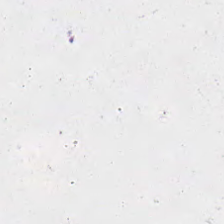224×224 pixel tile; whole-slide-image patch; H&E-stained tissue section — The content is background.
